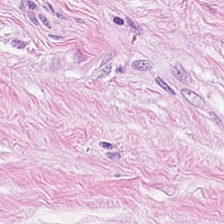H&E. This field is desmoplastic stroma.
